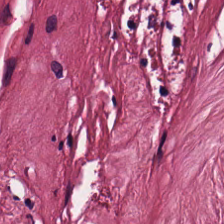FFPE tissue section; H&E — Tissue class — tumor stroma.
